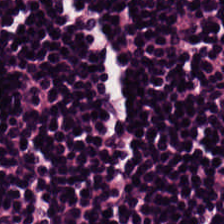Hematoxylin and eosin; FFPE.
Impression → lymphocytic infiltrate.
